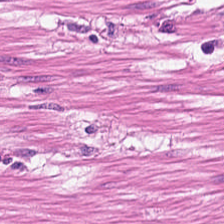Formalin-fixed paraffin-embedded section. Hematoxylin-and-eosin stained section. This patch shows muscularis.
